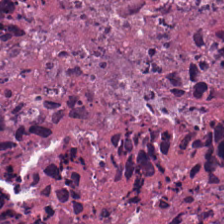This field is necrotic debris.
